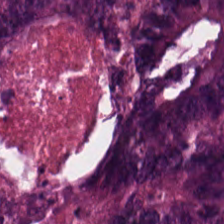Whole-slide-image patch; hematoxylin-and-eosin stained section.
Predominant tissue = colorectal adenocarcinoma epithelium.
